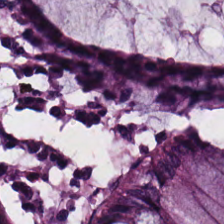Q: What is the predominant tissue type?
A: The field shows normal colonic mucosa.
